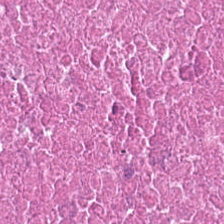Histology → debris.
